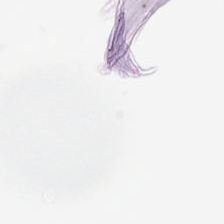Hematoxylin-and-eosin stained section.
The classification is no tissue.
